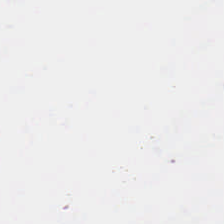Impression → background.
